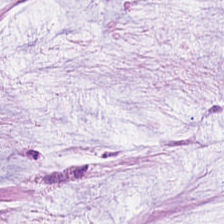Classification — mucin.
